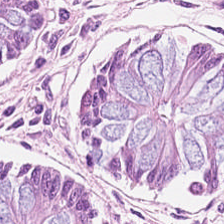Hematoxylin-and-eosin stained section.
Histology — benign colonic mucosa.
